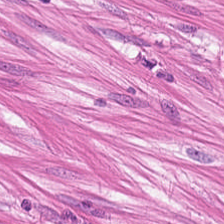H&E stain · FFPE tissue section. The tissue type is smooth-muscle tissue.
